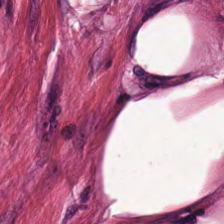H&E-stained tissue section showing cancer-associated stroma.
